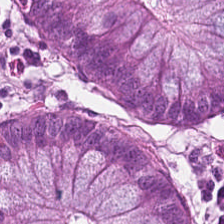H&E patch showing normal colonic mucosa.
